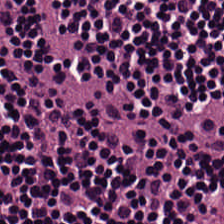H&E. Brightfield microscopy — This patch shows lymphocytic infiltrate.
